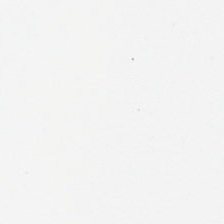Stain: hematoxylin-and-eosin stained section.
Tile size: 224×224 px patch.
Resolution: 0.5 microns per pixel.
Content: no tissue.
